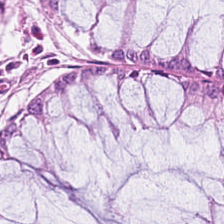Hematoxylin and eosin — Q: What is the predominant tissue type?
A: It is normal colon mucosa.
